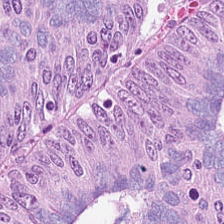H&E-stained tissue section showing malignant epithelium.
